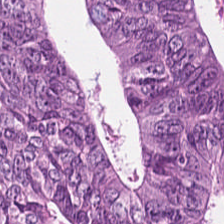H&E stain. This field is colorectal adenocarcinoma.
